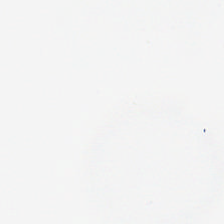224×224 px patch. FFPE tissue section. Hematoxylin-and-eosin stained section.
Content: empty background.
